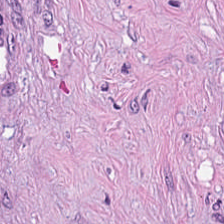0.5 µm per pixel. 224×224 px patch. H&E-stained tissue section — Histology — tumor stroma.
